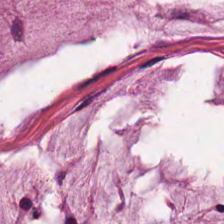Stain: H&E.
Tissue class: mucin.
